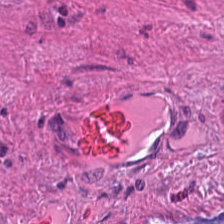H&E. Predominant tissue — mucus.
